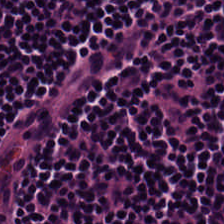H&E stain. Classification = lymphocyte aggregate.
